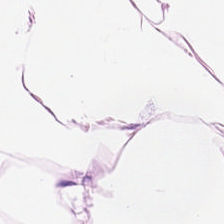H&E stain. {"tissue_type": "fat tissue"}
